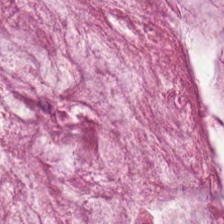H&E stain; 0.5 µm per pixel — The tissue here is mucus.
